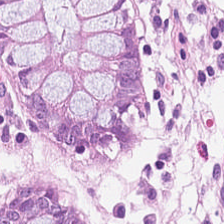Stain: H&E stain.
Preparation: formalin-fixed paraffin-embedded section.
Tissue type: benign colonic mucosa.
